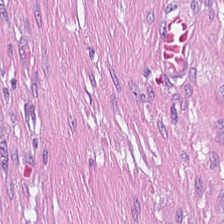H&E.
This field is tumor-associated stroma.
